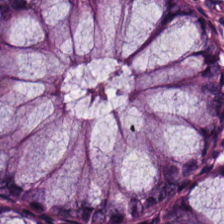Stain: hematoxylin and eosin.
Tile size: 224×224 pixel tile.
Acquisition: brightfield microscopy.
Tissue type: benign colonic mucosa.
